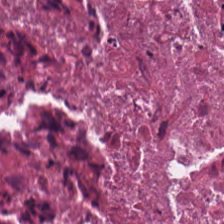H&E stain; WSI patch. Tissue type: debris.
